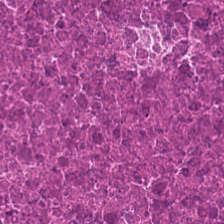This field is debris.
